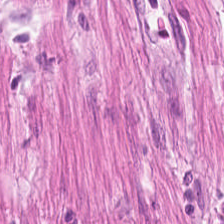H&E patch showing muscularis.
